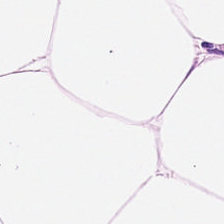Stain: H&E.
Predominant tissue: adipose tissue.
